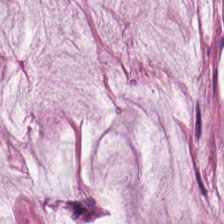Tissue type — mucin.
